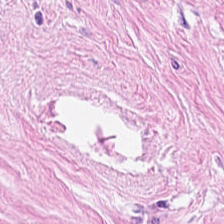Stain: hematoxylin and eosin.
Acquisition: WSI patch.
Preparation: formalin-fixed paraffin-embedded section.
Tissue class: tumor-associated stroma.
